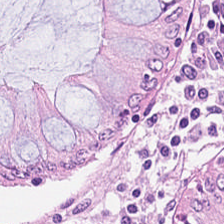Predominant tissue: normal colonic mucosa.
